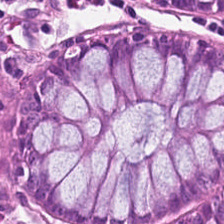Stain: hematoxylin and eosin.
Tissue type: normal colon mucosa.
